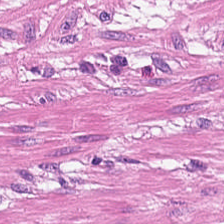FFPE tissue section. 224×224 px tile. H&E stain. This patch shows smooth-muscle tissue.
